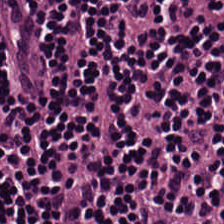H&E — Predominantly lymphocyte aggregate.
